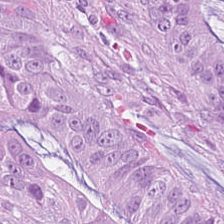H&E. Q: What type of tissue is this?
A: This is adenocarcinoma.
